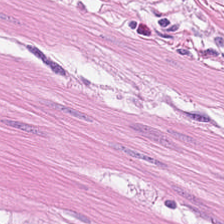The classification is smooth-muscle tissue.
